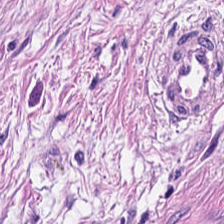H&E · 0.5 microns per pixel.
Showing smooth muscle.
